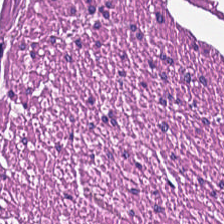H&E · 224×224 px patch · whole-slide-image patch.
Predominantly smooth-muscle tissue.
